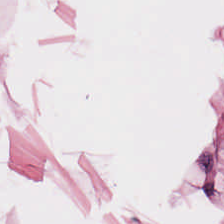Impression → fat tissue.
